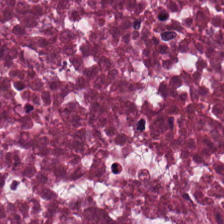0.5 µm/px · H&E stain — Debris.
